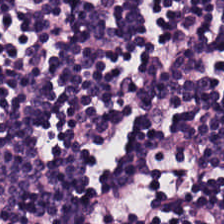H&E stain.
Tissue class: lymphocytes.
